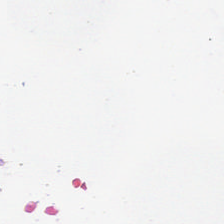Stain: H&E.
Field content: background (no tissue).
